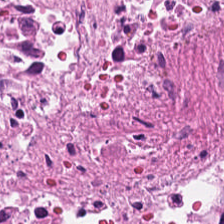H&E-stained tissue section — Predominant tissue — necrotic debris.
